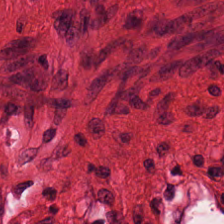Stain: H&E-stained tissue section.
Predominant tissue: smooth muscle.
